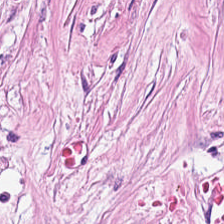H&E. Whole-slide-image patch.
Predominantly cancer-associated stroma.
